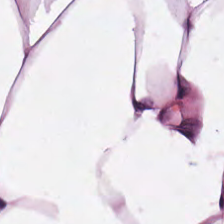Hematoxylin and eosin. Formalin-fixed paraffin-embedded section. 20× equivalent magnification.
The tissue class is adipose tissue.
